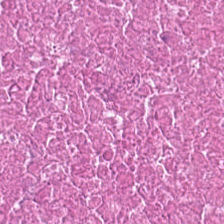Hematoxylin-and-eosin stained section · 224×224 pixel tile.
Finding → cellular debris.
